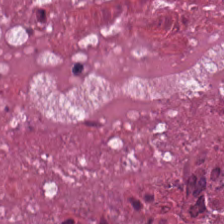H&E patch showing debris.
